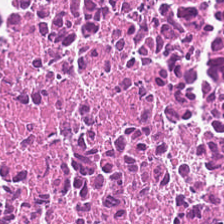WSI patch. Hematoxylin and eosin — Impression — cellular debris.
